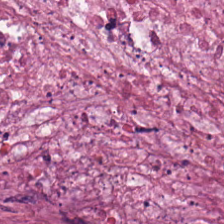Brightfield. H&E-stained tissue section. FFPE.
Showing cellular debris.
